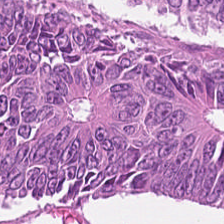Predominantly tumor epithelium.
